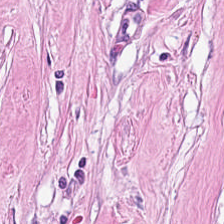Impression — cancer-associated stroma.
